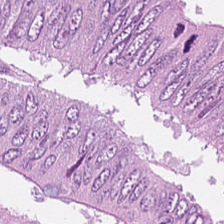H&E-stained tissue section; 224×224 px patch; 0.5 microns per pixel. This field is malignant epithelium.
